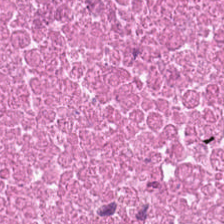20× equivalent magnification. H&E-stained tissue section.
Q: What tissue is shown?
A: It is cellular debris.
